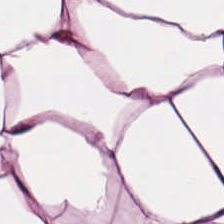Q: What tissue type is shown here?
A: Adipocytes.
